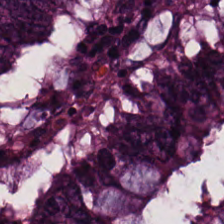Hematoxylin-and-eosin stained section; 224×224 px patch. Q: What is shown here?
A: Colorectal adenocarcinoma epithelium.
